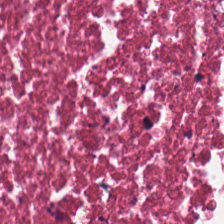Hematoxylin-and-eosin stained section. Q: What is the predominant tissue type?
A: The field shows cellular debris.
